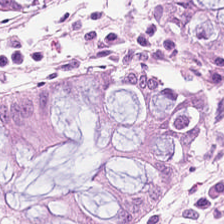H&E — Normal colon mucosa.
